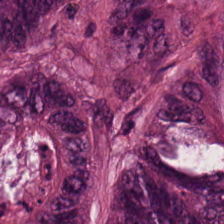Hematoxylin and eosin — The predominant tissue is colorectal adenocarcinoma epithelium.
